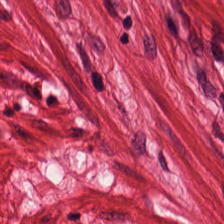The predominant tissue is smooth-muscle tissue.
